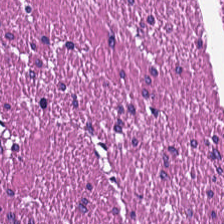Q: What type of tissue is this?
A: Smooth muscle.
